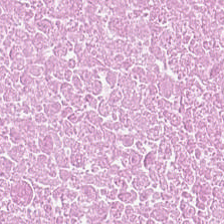Hematoxylin and eosin.
Finding → debris.
